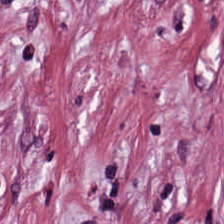The tissue here is tumor stroma.
